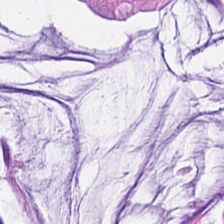0.5 µm/px · H&E. Showing extracellular mucin.
